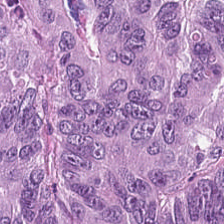H&E stain — Finding → tumor epithelium.
